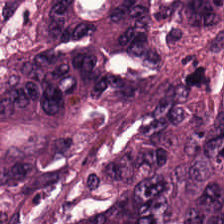H&E stain; FFPE tissue section — Showing colorectal adenocarcinoma.
